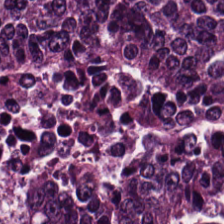This patch shows adenocarcinoma.
